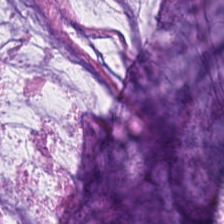H&E stain — Q: What is shown here?
A: It is mucin.
